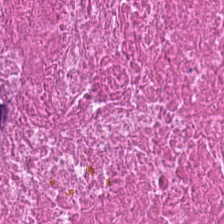Finding → cellular debris.
